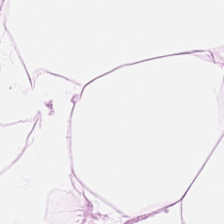FFPE tissue section; hematoxylin and eosin; 224×224 pixel tile. Finding — fat tissue.
